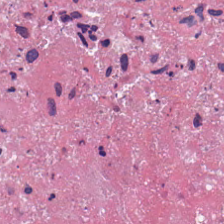This patch shows debris.
